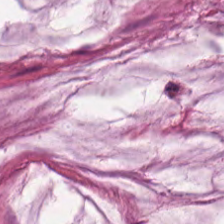Hematoxylin and eosin; 224×224 pixel tile; whole-slide-image patch — {"tissue_type": "mucin"}
